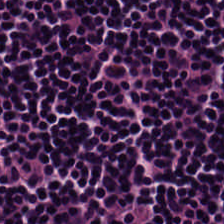H&E stain; 224×224 px patch; 20× equivalent magnification. Histology — lymphocytic infiltrate.
